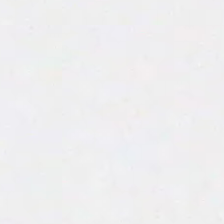20× equivalent magnification; hematoxylin-and-eosin stained section; formalin-fixed paraffin-embedded section. Q: Classify this patch.
A: It is empty background.
